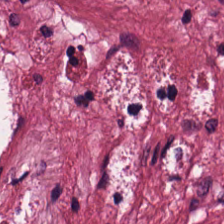224×224 pixel tile; H&E.
Predominant tissue = tumor stroma.
